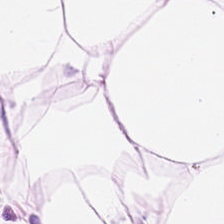Tissue class — adipocytes.
